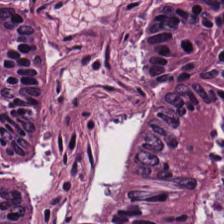This field is colorectal adenocarcinoma epithelium.
